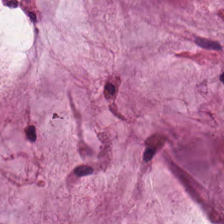Classification — extracellular mucin.
